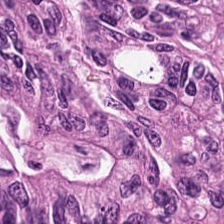H&E-stained tissue section · 20× equivalent magnification. {"tissue_type": "colorectal adenocarcinoma epithelium"}
